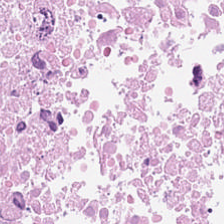Cellular debris.
